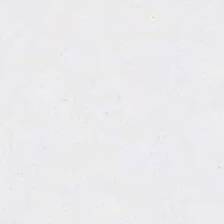0.5 µm/px. H&E-stained tissue section — This patch shows background.
